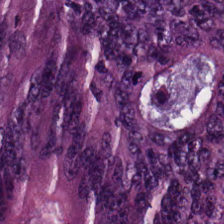Stain: hematoxylin and eosin.
Predominant tissue: colorectal adenocarcinoma.
